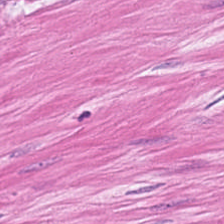224×224 px tile. Hematoxylin-and-eosin stained section. Tissue class — smooth muscle.
